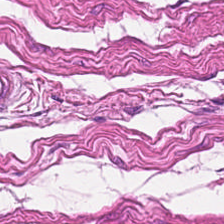This patch shows smooth-muscle tissue.
